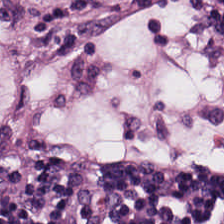Histology — lymphocytic infiltrate.
